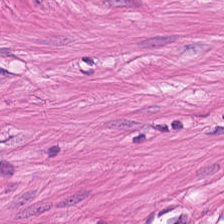Hematoxylin and eosin; FFPE.
Q: What type of tissue is this?
A: Smooth-muscle tissue.
